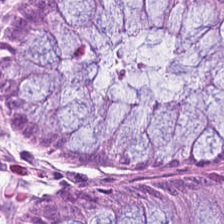H&E.
The tissue type is normal colonic mucosa.
